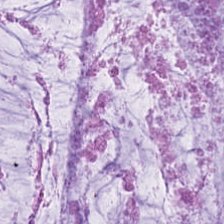H&E stain. 224×224 px patch — Showing extracellular mucin.
